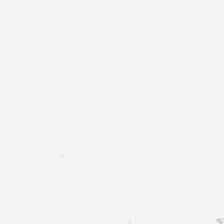H&E-stained tissue section. The field content is no tissue.
